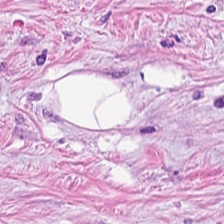Stain: H&E.
Tissue type: cancer-associated stroma.
